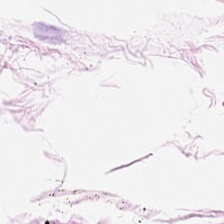Hematoxylin-and-eosin stained section. 224×224 px tile.
The predominant tissue is adipocytes.
